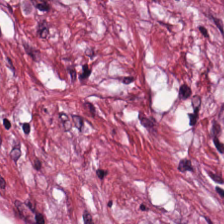Hematoxylin-and-eosin stained section. Q: What tissue is shown?
A: It is tumor-associated stroma.
